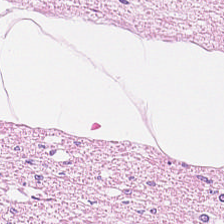H&E-stained tissue section — Tissue class: muscularis.
